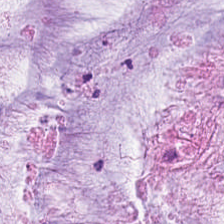H&E stain · FFPE tissue section.
Mucin.
